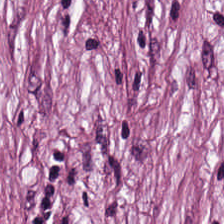Hematoxylin and eosin.
The tissue here is cancer-associated stroma.
